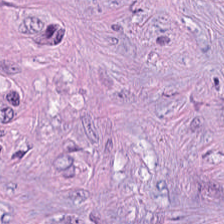Hematoxylin-and-eosin stained section.
Histology — tumor stroma.
